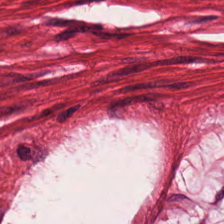224×224 px tile · H&E.
Predominantly smooth-muscle tissue.
